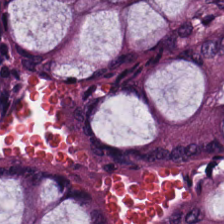Stain: hematoxylin-and-eosin stained section.
Acquisition: brightfield microscopy.
Tissue type: non-neoplastic colon mucosa.
